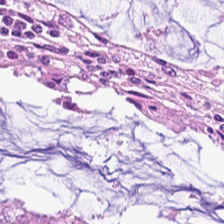Hematoxylin-and-eosin stained section.
The predominant tissue is benign colonic mucosa.
